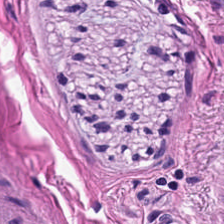FFPE tissue section; hematoxylin and eosin. Showing smooth muscle.
